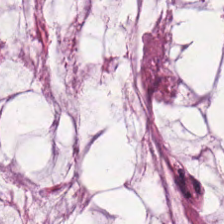H&E-stained tissue section — Tissue class — mucin.
